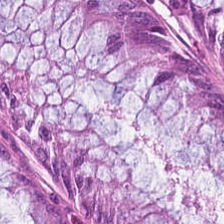H&E-stained tissue section. Normal colon mucosa.
